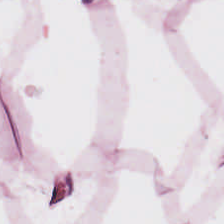224×224 pixel tile. H&E-stained tissue section. FFPE tissue section — Showing adipocytes.
